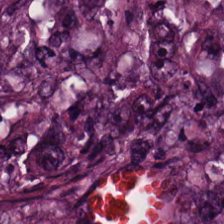Hematoxylin-and-eosin stained section. Formalin-fixed paraffin-embedded section — The predominant tissue is tumor epithelium.
